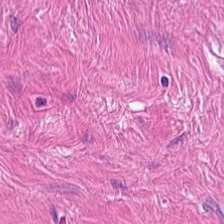224×224 px tile; FFPE; H&E-stained tissue section — Predominant tissue — smooth muscle.
